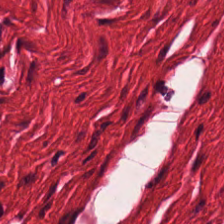Hematoxylin-and-eosin stained section.
Tissue — smooth-muscle tissue.
